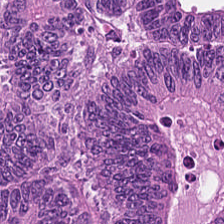H&E-stained tissue section — Classification = tumor epithelium.
